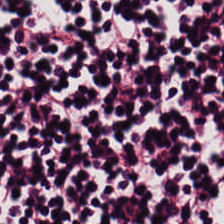H&E patch showing lymphoid infiltrate.
